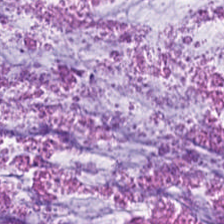H&E stain. 224×224 px tile.
{"tissue_type": "mucus"}
